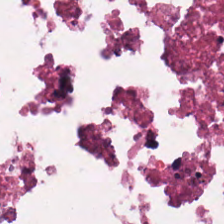WSI patch; H&E. Showing cellular debris.
